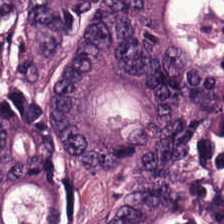Hematoxylin-and-eosin stained section. FFPE tissue section. Histology → colorectal adenocarcinoma epithelium.
